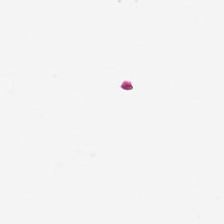WSI patch · hematoxylin and eosin — Classification — empty background.
